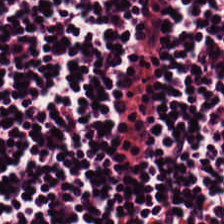Stain: H&E.
Tissue type: lymphocytes.
